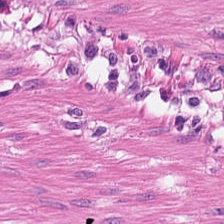Hematoxylin-and-eosin stained section. {"tissue_type": "smooth muscle"}
